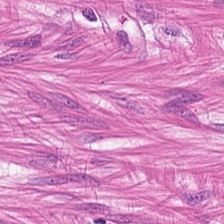0.5 µm per pixel · hematoxylin-and-eosin stained section — The classification is smooth-muscle tissue.
